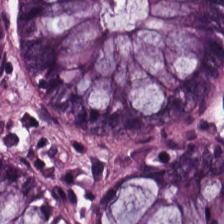224×224 pixel tile · H&E-stained tissue section. Tissue — benign colonic mucosa.
